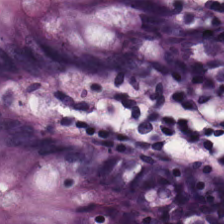Q: What tissue is shown?
A: It is non-neoplastic colon mucosa.
